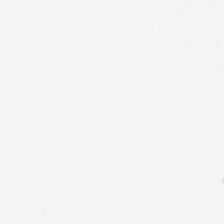Whole-slide-image patch. Hematoxylin and eosin — Background — no tissue in this field.
